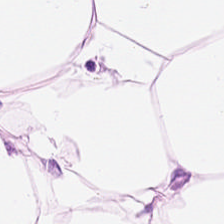H&E-stained tissue section.
Fat tissue.
